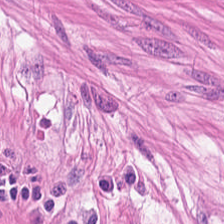Stain: H&E.
Tissue: smooth-muscle tissue.
